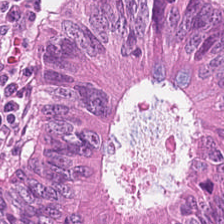224×224 px tile · WSI patch · hematoxylin-and-eosin stained section — Colorectal adenocarcinoma epithelium.
